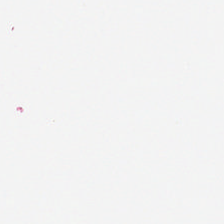Hematoxylin and eosin · 224×224 px patch · whole-slide-image patch — Q: What does this patch show?
A: Background.
